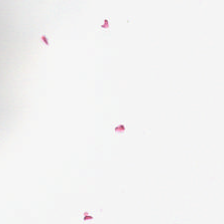20× equivalent magnification; H&E; brightfield.
Q: What does this patch show?
A: Background.
